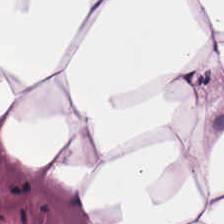Hematoxylin-and-eosin stained section.
Classification — adipose.
